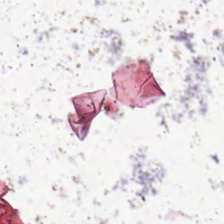Hematoxylin-and-eosin stained section. Impression — empty background.
